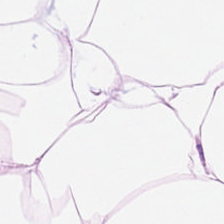H&E stain.
Predominantly adipose tissue.
